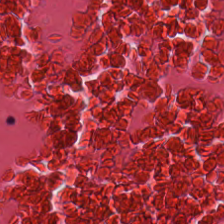H&E — Predominant tissue — debris.
